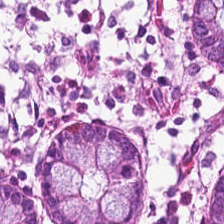H&E — Predominant tissue: non-neoplastic colon mucosa.
